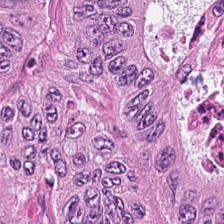224×224 px tile; H&E-stained tissue section — Classification: colorectal adenocarcinoma.
